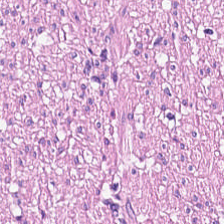Hematoxylin and eosin. {"tissue_type": "smooth-muscle tissue"}
